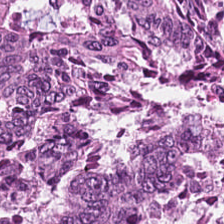Stain: H&E.
Tile size: 224×224 px tile.
Tissue type: colorectal adenocarcinoma.
